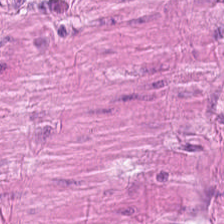H&E-stained tissue section. The tissue type is smooth muscle.
